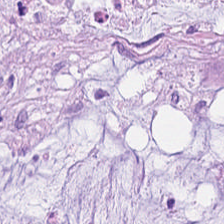224×224 px patch; hematoxylin-and-eosin stained section.
Predominantly mucin.
